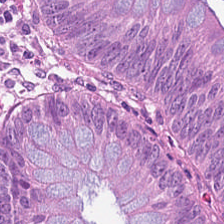20× equivalent magnification · whole-slide-image patch · H&E — The tissue type is adenocarcinoma.
